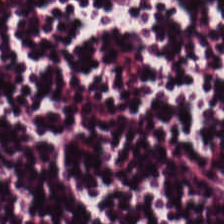224×224 px tile; H&E stain. Classification — lymphocytes.
